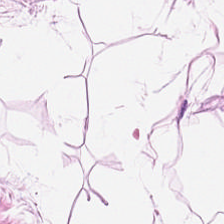Hematoxylin-and-eosin stained section. Tissue type: adipocytes.
